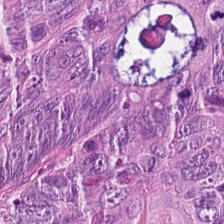Hematoxylin-and-eosin stained section — Tumor epithelium.
